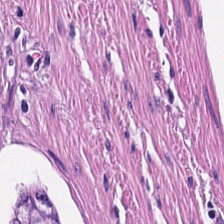Hematoxylin-and-eosin stained section. The tissue is muscularis.
